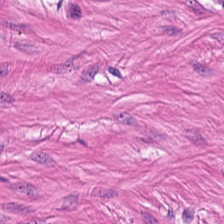H&E stain; FFPE tissue section.
Smooth muscle.
